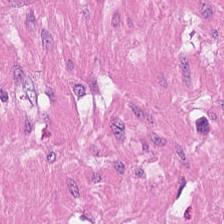Hematoxylin and eosin; 224×224 px tile. Q: What is the predominant tissue type?
A: The field shows smooth-muscle tissue.
